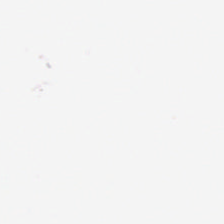Q: What does this patch show?
A: The field shows background.
